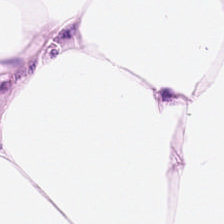Stain: H&E stain.
Tissue class: adipocytes.
